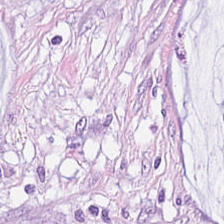{"tissue_type": "mucus"}
